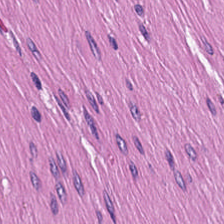H&E — muscularis.
